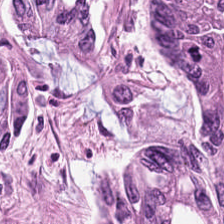0.5 microns per pixel; H&E stain; brightfield microscopy.
Finding → malignant epithelium.
